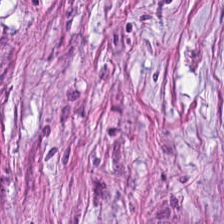Stain: H&E-stained tissue section.
Tile size: 224×224 px tile.
Tissue type: desmoplastic stroma.
